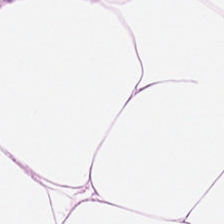Brightfield microscopy · 0.5 microns per pixel · H&E — Tissue class — fat tissue.
